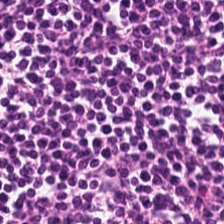H&E.
Q: What type of tissue is this?
A: This is lymphocytic infiltrate.
